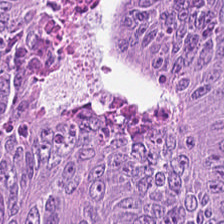Hematoxylin and eosin. The tissue is tumor epithelium.
